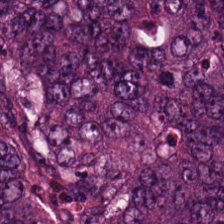Hematoxylin-and-eosin stained section. The tissue is malignant epithelium.
